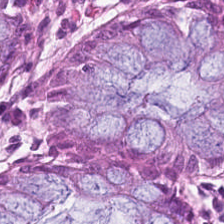H&E stain — Normal colon mucosa.
